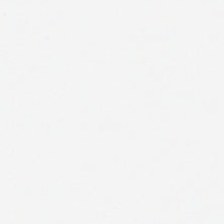Hematoxylin-and-eosin stained section. FFPE. Brightfield. Empty field — background (no tissue).
